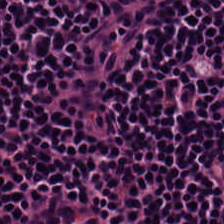H&E-stained tissue section; 224×224 px tile.
Classification = lymphocyte aggregate.
